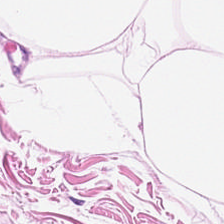H&E-stained tissue section. FFPE tissue section — The predominant tissue is adipose tissue.
